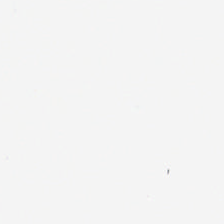Formalin-fixed paraffin-embedded section · H&E-stained tissue section — No tissue present; background only.
